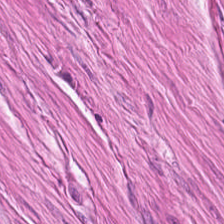Q: Identify the tissue.
A: This is muscularis.
